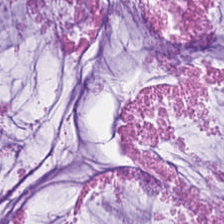Hematoxylin-and-eosin stained section.
{"tissue_type": "extracellular mucin"}
